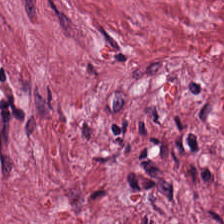H&E stain · 224×224 px tile — Q: Classify this patch.
A: The field shows tumor stroma.
